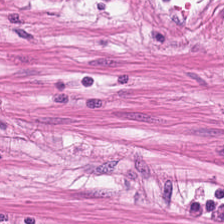Hematoxylin and eosin. Showing smooth muscle.
